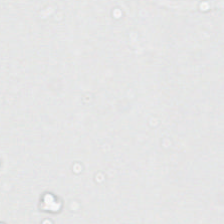Stain: H&E-stained tissue section.
Content: no tissue.
